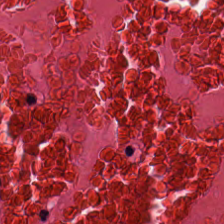Tissue type = necrotic debris.
